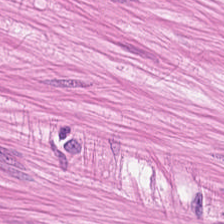H&E stain. This patch shows smooth-muscle tissue.
